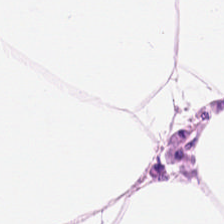H&E stain — This patch shows adipocytes.
